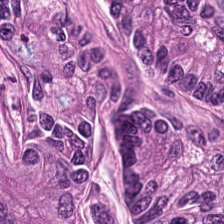H&E. FFPE.
Predominantly adenocarcinoma.
